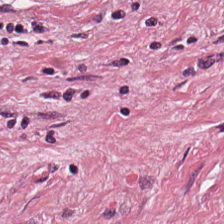H&E stain · brightfield · FFPE tissue section.
Cancer-associated stroma.
